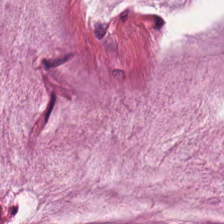H&E stain. Predominant tissue — mucin.
